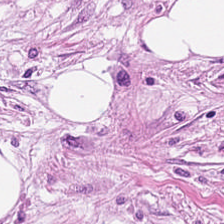Hematoxylin and eosin; 20× equivalent magnification — Q: Identify the tissue.
A: Cancer-associated stroma.
